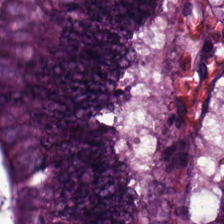Formalin-fixed paraffin-embedded section; H&E — Tumor epithelium.
